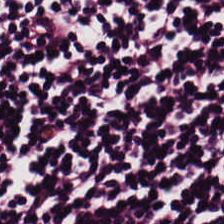H&E-stained tissue section. Predominant tissue = lymphocyte aggregate.
